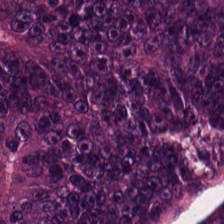H&E stain. Histology → colorectal adenocarcinoma epithelium.
